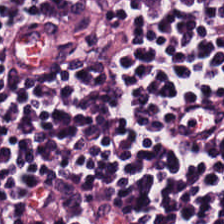224×224 px patch; H&E stain. Predominantly lymphocytes.
